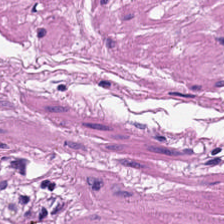WSI patch · hematoxylin and eosin · FFPE tissue section — Impression — smooth-muscle tissue.
